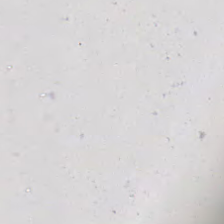Hematoxylin and eosin.
Impression — empty background.
